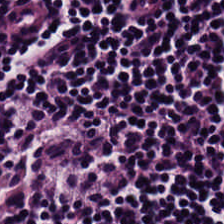Brightfield microscopy · H&E stain.
Q: What tissue type is shown here?
A: This is lymphocyte aggregate.
